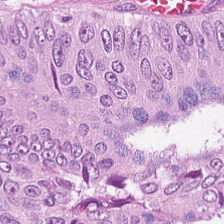Brightfield microscopy. H&E stain. 0.5 microns per pixel — Tissue type = colorectal adenocarcinoma.
